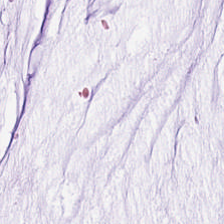Brightfield microscopy. H&E. This field is mucus.
